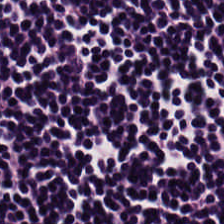Tissue type: lymphocytes.
